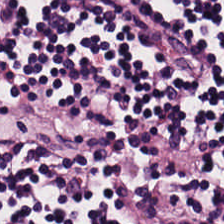Predominantly lymphocytic infiltrate.
